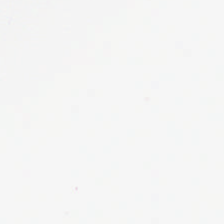H&E-stained tissue section. WSI patch. Q: What is shown here?
A: Background.
